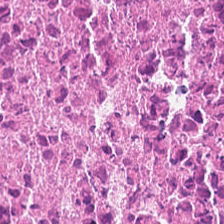Hematoxylin-and-eosin stained section. Formalin-fixed paraffin-embedded section — {"tissue_type": "cellular debris"}
